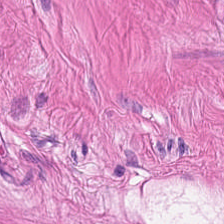Hematoxylin-and-eosin stained section. WSI patch.
The tissue here is muscularis.
